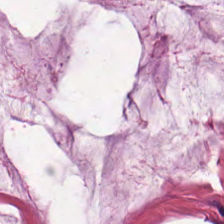H&E stain; WSI patch. {"tissue_type": "mucus"}
